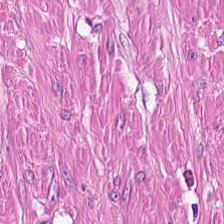Stain: H&E stain.
Predominant tissue: smooth-muscle tissue.
